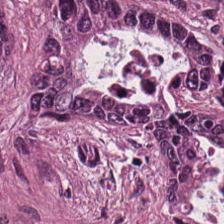H&E. Whole-slide-image patch.
Tumor epithelium.
